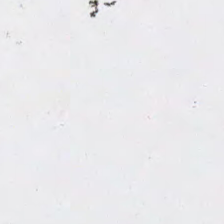Classification — background.
